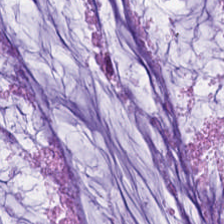FFPE · H&E-stained tissue section · 20× equivalent magnification — Showing mucus.
